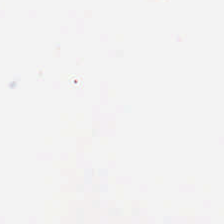H&E-stained tissue section. Q: What is shown in this field?
A: This is empty background.
